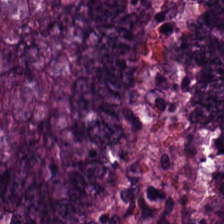Classification: tumor epithelium.
